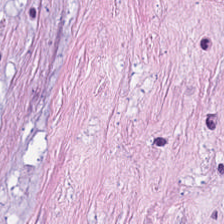This patch shows tumor-associated stroma.
